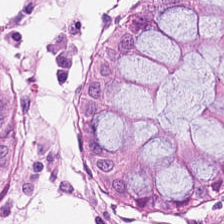H&E stain — Histology — normal colon mucosa.
